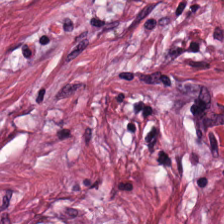Stain: H&E.
Tissue class: desmoplastic stroma.
